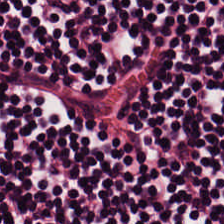Brightfield microscopy · H&E stain · 0.5 µm per pixel.
Predominant tissue: lymphocyte aggregate.
